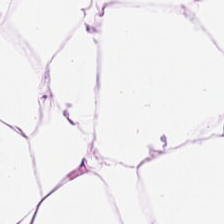Q: What is shown here?
A: It is adipose.
